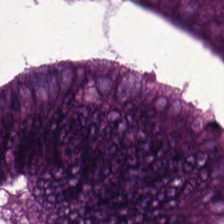H&E-stained tissue section; whole-slide-image patch; 0.5 µm/px — Finding → tumor epithelium.
